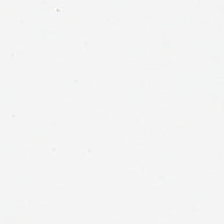H&E-stained tissue section.
Histology — background (no tissue).
